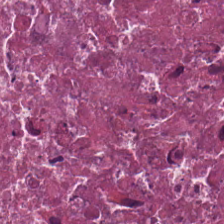Tissue class — necrotic debris.
